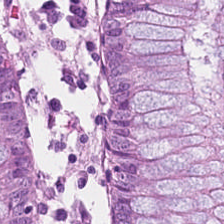FFPE · hematoxylin and eosin — Q: What tissue type is shown here?
A: It is benign colonic mucosa.
